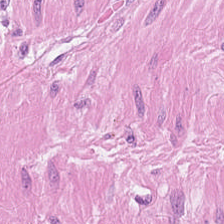Hematoxylin-and-eosin stained section — Finding → smooth muscle.
